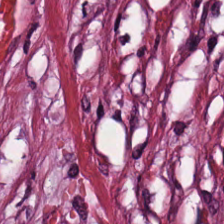H&E. The tissue here is cancer-associated stroma.
